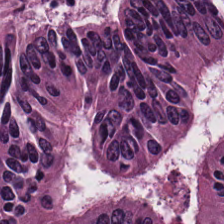Hematoxylin and eosin. Colorectal adenocarcinoma epithelium.
